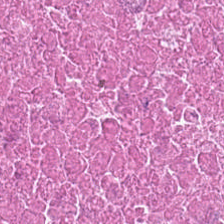{"tissue_type": "necrotic debris"}
